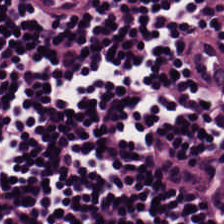Stain: hematoxylin-and-eosin stained section.
Tissue class: lymphocytes.
